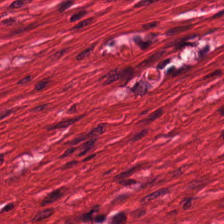FFPE tissue section; H&E; 224×224 px patch. Showing muscularis.
